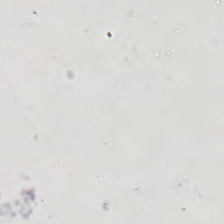H&E stain — Impression → empty background.
